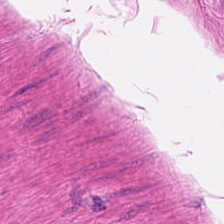H&E-stained tissue section showing smooth muscle.
